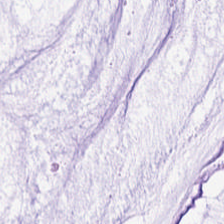Hematoxylin and eosin · 0.5 µm per pixel — Classification: mucus.
